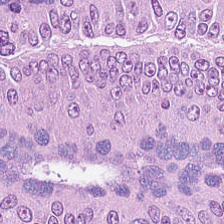Hematoxylin and eosin; 224×224 px patch.
{"tissue_type": "colorectal adenocarcinoma"}
